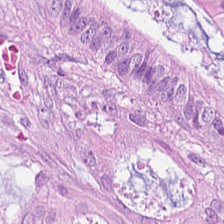Impression — adenocarcinoma.
